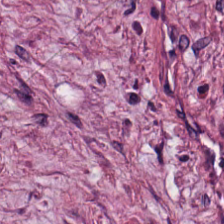Hematoxylin and eosin; whole-slide-image patch. Predominantly cancer-associated stroma.
